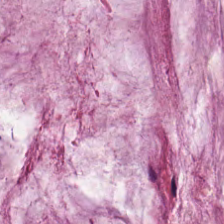Stain: H&E-stained tissue section.
Predominant tissue: mucin.
